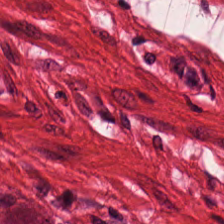Tissue — muscularis.
